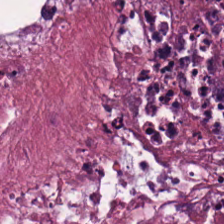0.5 µm per pixel · H&E — The tissue here is cellular debris.
